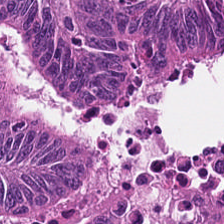FFPE tissue section; H&E stain.
Predominant tissue = colorectal adenocarcinoma.
